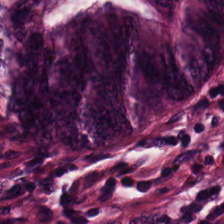H&E stain. Impression — adenocarcinoma.
